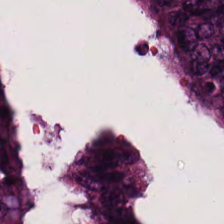H&E — The tissue is adenocarcinoma.
